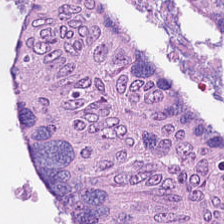H&E-stained tissue section — This patch shows adenocarcinoma.
